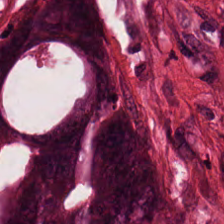H&E-stained tissue section · 224×224 px tile. This field is malignant epithelium.
